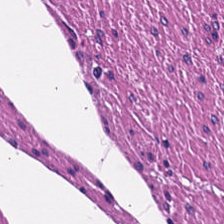The tissue type is smooth-muscle tissue.
